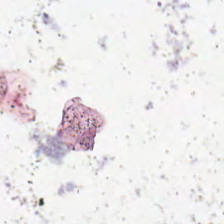H&E stain. No tissue.
